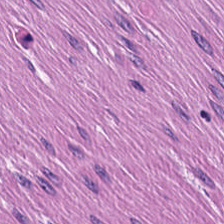Hematoxylin-and-eosin stained section — Histology → smooth-muscle tissue.
